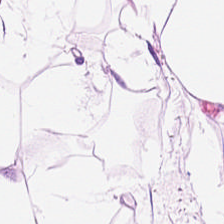0.5 µm/px; hematoxylin-and-eosin stained section. This field is adipose.
